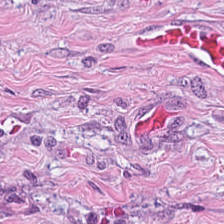FFPE. H&E stain. 224×224 px tile.
The predominant tissue is cancer-associated stroma.
